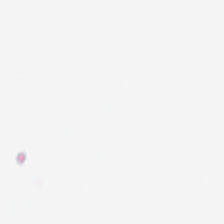Hematoxylin-and-eosin stained section. Brightfield — Histology → no tissue.
